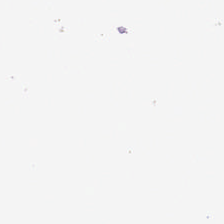H&E stain. Impression — no tissue.
